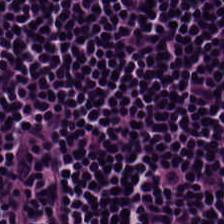H&E stain. Histology — lymphocyte aggregate.
